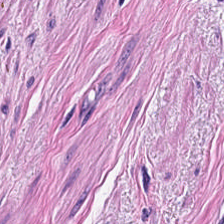H&E stain — Tissue type — muscularis.
